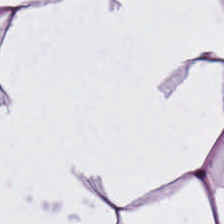{"tissue_type": "adipose tissue"}
